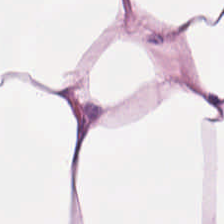Stain: H&E stain.
Classification: fat tissue.
